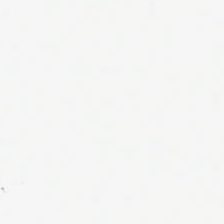Hematoxylin-and-eosin stained section; FFPE tissue section; 0.5 µm per pixel — Finding — no tissue.
